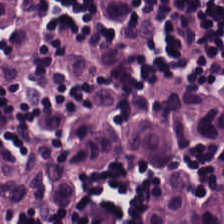Stain: H&E stain.
Predominant tissue: lymphocyte aggregate.
